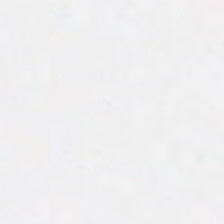FFPE tissue section · H&E-stained tissue section · brightfield — Content = background.
